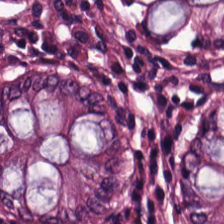Stain: H&E.
Preparation: FFPE.
Acquisition: brightfield.
Tissue type: non-neoplastic colon mucosa.
